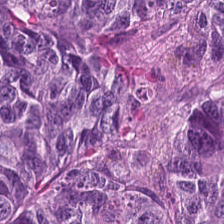H&E — Q: What tissue is shown?
A: This is malignant epithelium.
